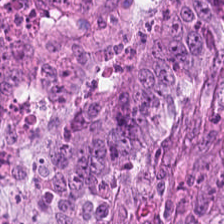Hematoxylin and eosin — {"tissue_type": "colorectal adenocarcinoma"}
